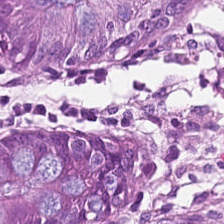H&E-stained tissue section — Q: Classify this patch.
A: The field shows normal colon mucosa.
